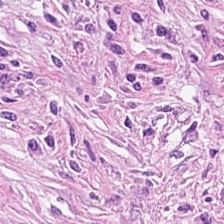H&E stain. Tissue = tumor-associated stroma.
